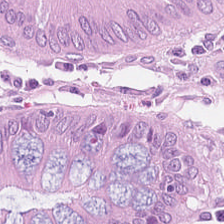This field is normal colonic mucosa.
